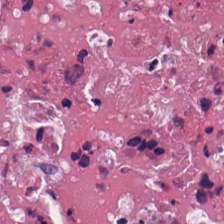H&E stain; 224×224 px patch; 0.5 microns per pixel.
The classification is necrotic debris.
